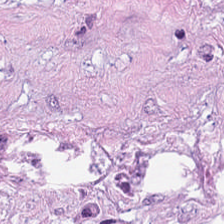Stain: hematoxylin-and-eosin stained section.
Tissue type: tumor-associated stroma.
